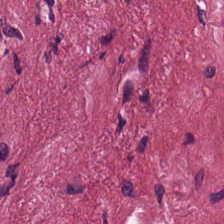224×224 px patch · 0.5 µm/px · hematoxylin and eosin. The predominant tissue is cancer-associated stroma.
